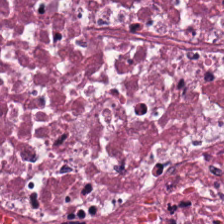H&E-stained section; the field shows cellular debris.
